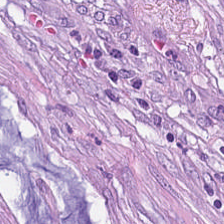Stain: hematoxylin and eosin.
Predominant tissue: desmoplastic stroma.
